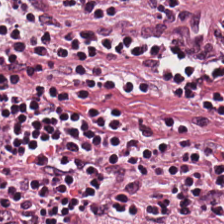H&E-stained tissue section. Lymphocyte aggregate.
